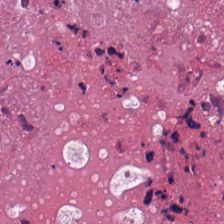H&E-stained tissue section.
Impression → necrotic debris.
